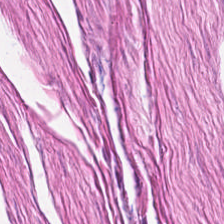Hematoxylin and eosin. Tissue: muscularis.
